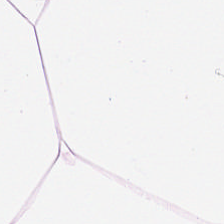Stain: H&E.
Tissue class: fat tissue.
